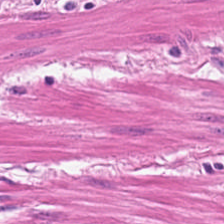Hematoxylin-and-eosin stained section — Predominant tissue = muscularis.
